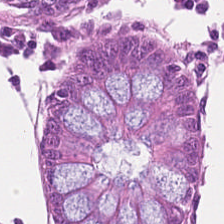H&E-stained tissue section. Formalin-fixed paraffin-embedded section — This field is normal colon mucosa.
